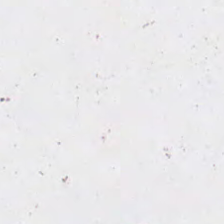Field content: empty background.
